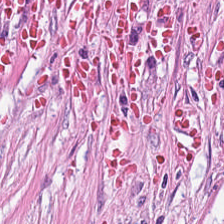Hematoxylin-and-eosin stained section · 224×224 px patch. {"tissue_type": "tumor stroma"}
